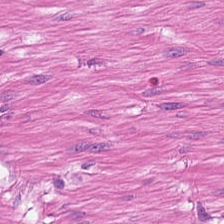Hematoxylin and eosin — Predominant tissue: smooth-muscle tissue.
